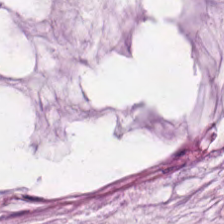224×224 pixel tile. Hematoxylin and eosin. 20× equivalent magnification — This patch shows extracellular mucin.
